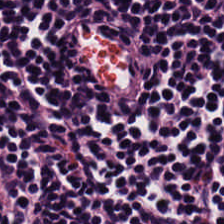{"tissue_type": "lymphocytic infiltrate"}
